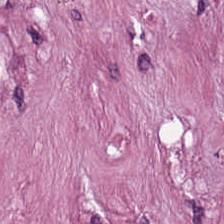Stain: H&E.
Predominant tissue: cancer-associated stroma.
